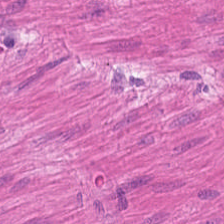Stain: H&E-stained tissue section.
Acquisition: WSI patch.
Resolution: 20× equivalent magnification.
Tissue class: smooth-muscle tissue.
